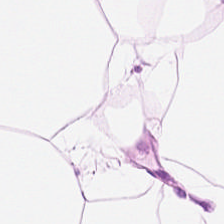H&E stain. Q: What is shown here?
A: The field shows adipocytes.
